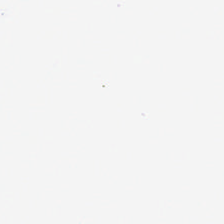H&E; 224×224 px tile.
This field is background (no tissue).
